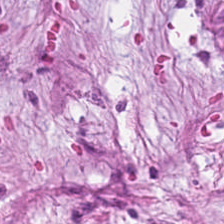H&E; 224×224 px tile. Finding → desmoplastic stroma.
